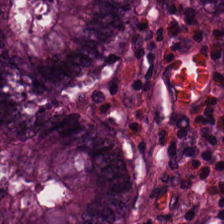H&E · 224×224 px tile — Predominant tissue — normal colon mucosa.
